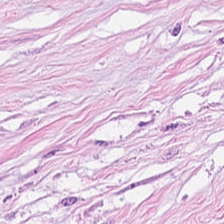0.5 µm/px; formalin-fixed paraffin-embedded section; H&E. Tissue: tumor stroma.
